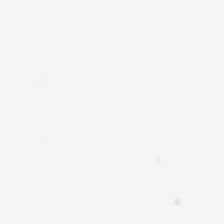Stain: hematoxylin-and-eosin stained section.
Tile size: 224×224 px tile.
Classification: no tissue.
